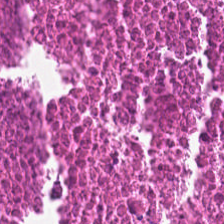Q: What does this patch show?
A: The field shows necrotic debris.
